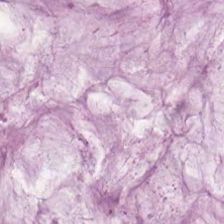Stain: hematoxylin and eosin.
Classification: mucus.
